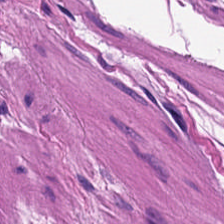Hematoxylin-and-eosin stained section — The tissue is muscularis.
